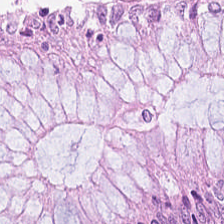Stain: hematoxylin-and-eosin stained section.
Tile size: 224×224 px tile.
Preparation: formalin-fixed paraffin-embedded section.
Tissue type: non-neoplastic colon mucosa.
